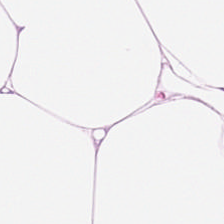Stain: H&E.
Classification: adipose tissue.
